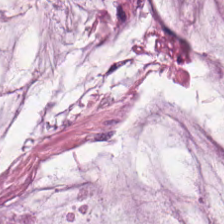Stain: hematoxylin and eosin.
Tissue class: mucin.
